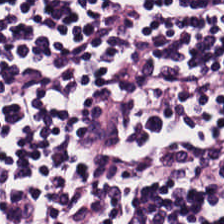H&E-stained tissue section. Q: What does this patch show?
A: This is lymphoid infiltrate.
